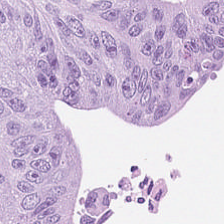H&E.
Q: Identify the tissue.
A: This is colorectal adenocarcinoma epithelium.
